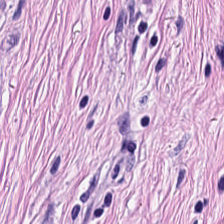Hematoxylin-and-eosin stained section; 0.5 µm per pixel; 224×224 px patch — Tumor-associated stroma.
